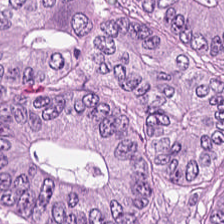FFPE tissue section. Hematoxylin-and-eosin stained section.
The tissue class is colorectal adenocarcinoma.
